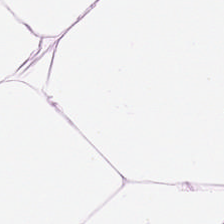H&E stain — Showing adipocytes.
